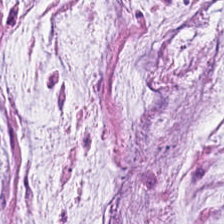H&E — Finding → mucin.
